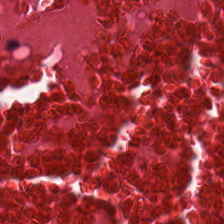Hematoxylin and eosin; FFPE tissue section — This patch shows cellular debris.
